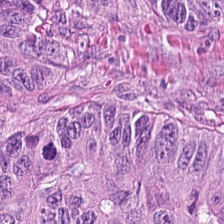Hematoxylin and eosin.
Impression — tumor epithelium.
